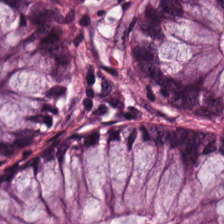H&E — Benign colonic mucosa.
